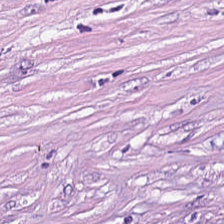WSI patch. FFPE. H&E-stained tissue section. {"tissue_type": "cancer-associated stroma"}
